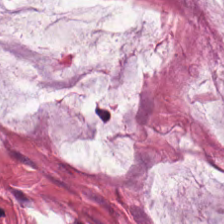H&E — Finding — mucus.
